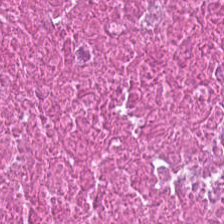H&E-stained tissue section showing cellular debris.
